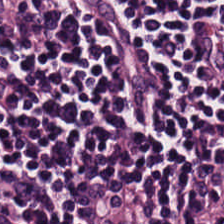20× equivalent magnification. FFPE. Hematoxylin-and-eosin stained section. Tissue = lymphoid infiltrate.
